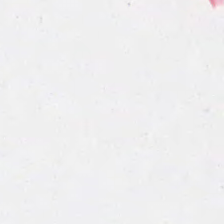The content is no tissue.
